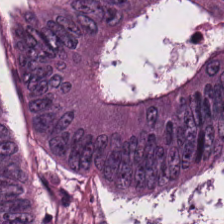H&E-stained tissue section. This patch shows tumor epithelium.
